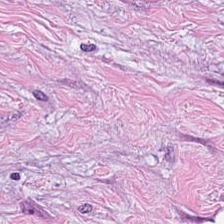H&E-stained tissue section; brightfield microscopy.
The tissue is tumor-associated stroma.
